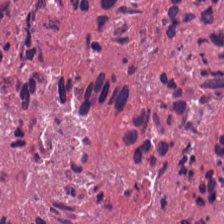H&E-stained tissue section — Histology → debris.
